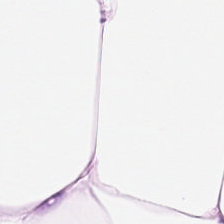Hematoxylin-and-eosin stained section · 0.5 microns per pixel — Predominant tissue — adipocytes.
